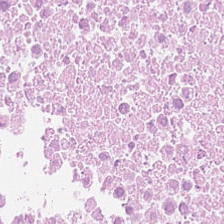Tissue class — debris.
